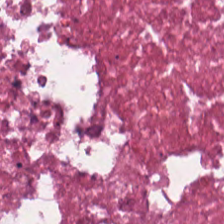H&E; formalin-fixed paraffin-embedded section — The classification is cellular debris.
